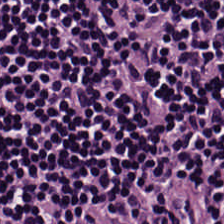Hematoxylin-and-eosin stained section. This patch shows lymphocytes.
